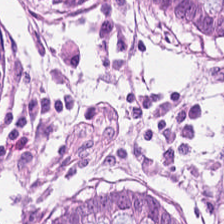Q: What type of tissue is this?
A: The field shows benign colonic mucosa.
